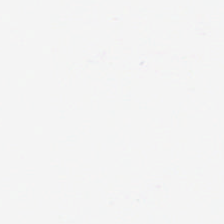H&E-stained tissue section. 224×224 px patch. 20× equivalent magnification.
Finding — background (no tissue).
